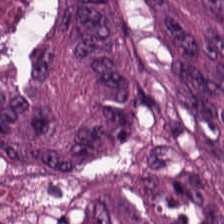H&E stain. The predominant tissue is colorectal adenocarcinoma epithelium.
